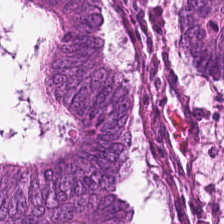Hematoxylin and eosin.
Tissue: adenocarcinoma.
